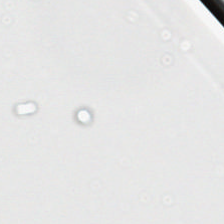This field is background (no tissue).
